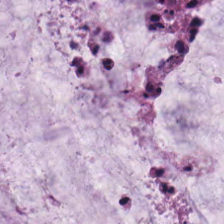Hematoxylin and eosin — Q: Classify this patch.
A: This is mucin.
